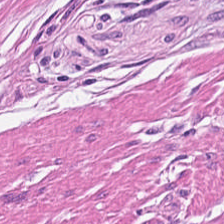Stain: H&E-stained tissue section.
Preparation: FFPE tissue section.
Resolution: 0.5 µm per pixel.
Tissue type: smooth-muscle tissue.
